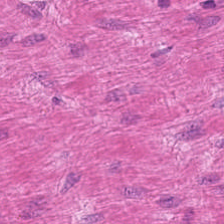H&E-stained tissue section. Tissue class = smooth-muscle tissue.
